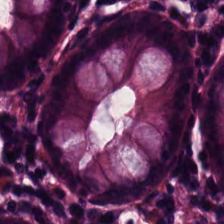H&E.
{"tissue_type": "benign colonic mucosa"}
